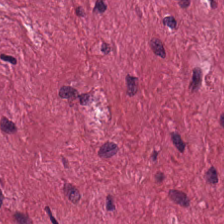FFPE tissue section; H&E-stained tissue section. Desmoplastic stroma.
